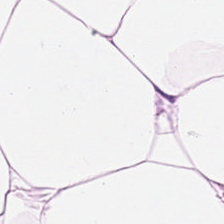Tissue — adipocytes.
